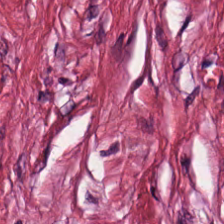Q: What tissue is shown?
A: The field shows desmoplastic stroma.
